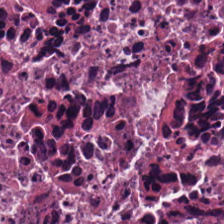Hematoxylin and eosin.
Q: What does this patch show?
A: Debris.
